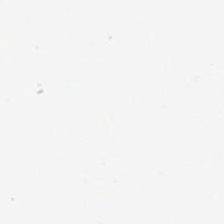H&E. The field content is no tissue.
